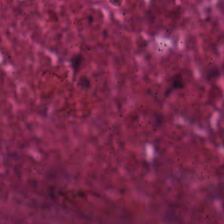{"tissue_type": "debris"}
